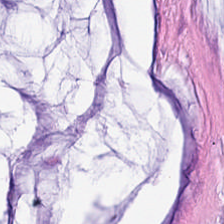H&E-stained tissue section.
Q: Classify this patch.
A: This is mucus.
